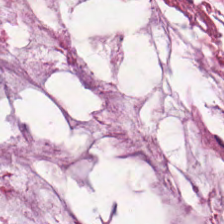Stain: H&E.
Tissue: extracellular mucin.
